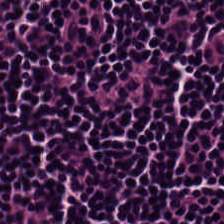Hematoxylin and eosin. 224×224 pixel tile. Showing lymphocyte aggregate.
